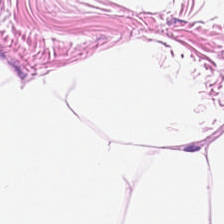Brightfield; hematoxylin-and-eosin stained section; 224×224 px tile. Q: What type of tissue is this?
A: This is adipose.
